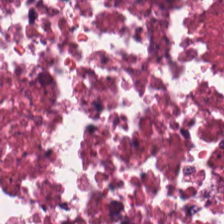FFPE; H&E; whole-slide-image patch. The classification is necrotic debris.
